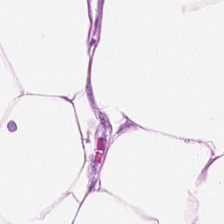Stain: H&E.
Predominant tissue: adipocytes.
